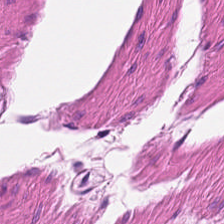This patch shows muscularis.
